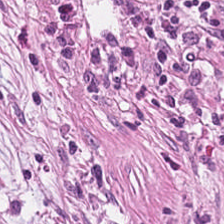224×224 px tile · hematoxylin-and-eosin stained section · 0.5 microns per pixel — The tissue here is cancer-associated stroma.
